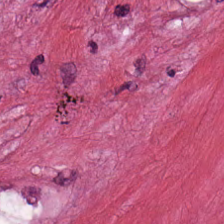H&E stain; 0.5 microns per pixel. The predominant tissue is desmoplastic stroma.
